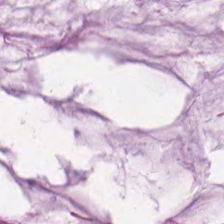Hematoxylin-and-eosin stained section — Tissue: mucus.
